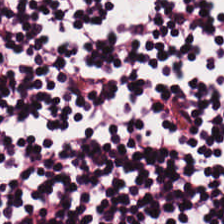H&E.
Q: What is the predominant tissue type?
A: This is lymphocytic infiltrate.
